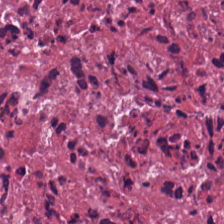H&E.
The tissue class is debris.
